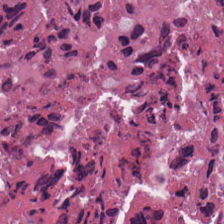H&E-stained section; the field shows necrotic debris.
